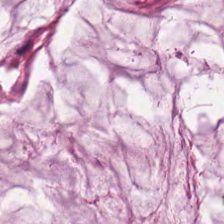H&E stain — Tissue class: mucus.
